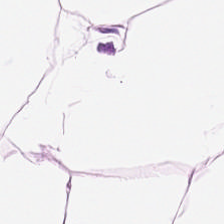H&E-stained tissue section — Q: What does this patch show?
A: The field shows fat tissue.
